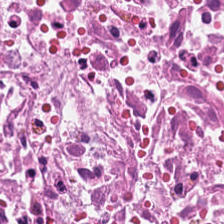Stain: hematoxylin and eosin.
Tissue class: debris.
